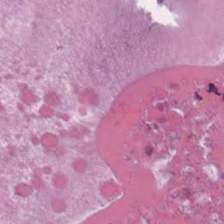H&E patch showing necrotic debris.
